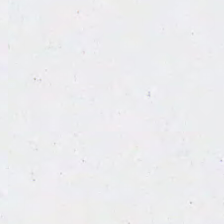Formalin-fixed paraffin-embedded section · hematoxylin-and-eosin stained section.
Q: Classify this patch.
A: This is empty background.
